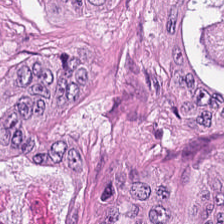H&E-stained tissue section. Whole-slide-image patch.
Colorectal adenocarcinoma epithelium.
